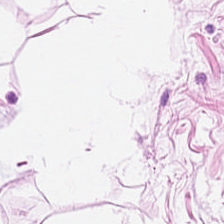H&E stain. WSI patch.
Tissue class — fat tissue.
